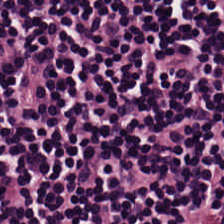Stain: H&E.
Tissue type: lymphocytes.
